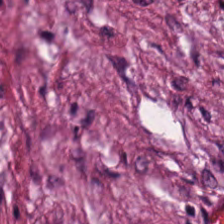Stain: H&E stain.
Tile size: 224×224 px patch.
Predominant tissue: tumor-associated stroma.
